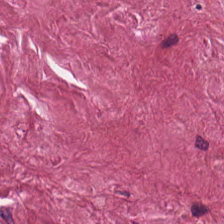H&E.
Classification = cancer-associated stroma.
